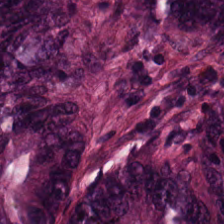H&E stain — Tumor epithelium.
